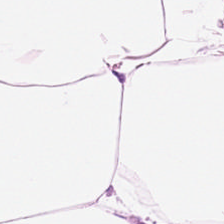The classification is adipose tissue.
